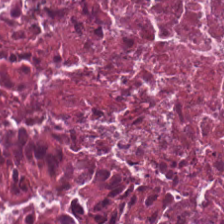Predominant tissue = necrotic debris.
